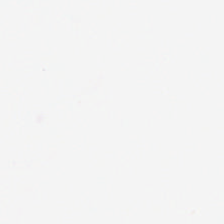This patch shows no tissue.
